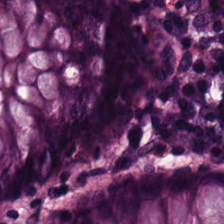Stain: H&E-stained tissue section.
Tile size: 224×224 px patch.
Tissue class: non-neoplastic colon mucosa.
